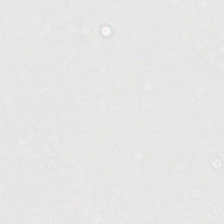Histology — background (no tissue).
